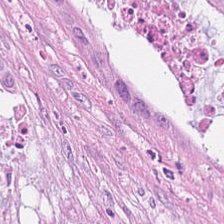Stain: H&E stain.
Tissue: tumor epithelium.
